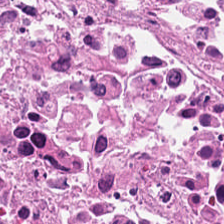{"tissue_type": "necrotic debris"}
